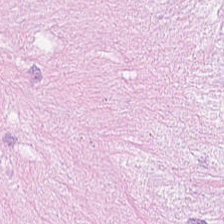H&E stain · 0.5 µm per pixel · 224×224 pixel tile.
The tissue here is desmoplastic stroma.
